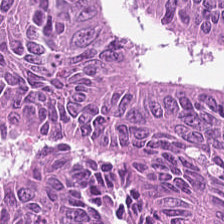Stain: H&E.
Preparation: FFPE tissue section.
Tissue: malignant epithelium.
